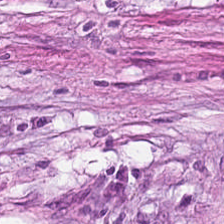Hematoxylin and eosin. This field is tumor-associated stroma.
